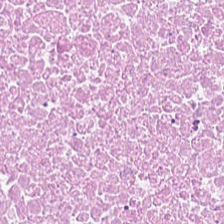Hematoxylin and eosin; FFPE.
Q: What is shown in this field?
A: This is debris.
